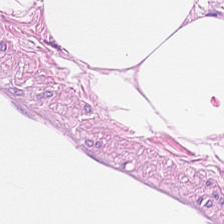H&E stain — Predominant tissue: fat tissue.
